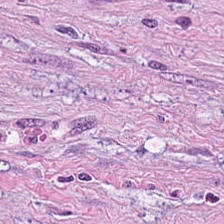Classification = tumor stroma.
